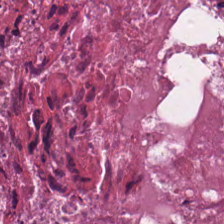Stain: H&E stain.
Preparation: formalin-fixed paraffin-embedded section.
Predominant tissue: debris.
